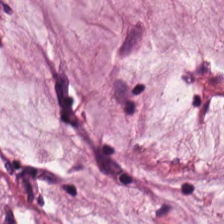224×224 px patch; H&E stain; FFPE. Q: What tissue type is shown here?
A: The field shows mucin.
